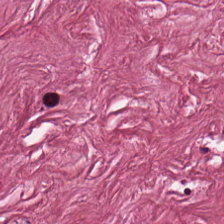This field is tumor stroma.
